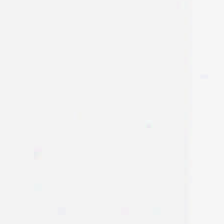H&E-stained tissue section. 0.5 microns per pixel.
Finding — empty background.
